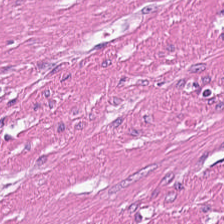20× equivalent magnification. Brightfield. H&E-stained tissue section. Q: What is the predominant tissue type?
A: The field shows smooth-muscle tissue.
